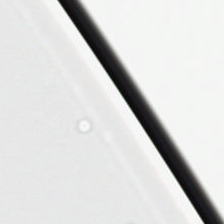Background — no tissue in this field.
